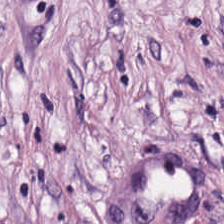H&E · FFPE. The tissue class is tumor-associated stroma.
